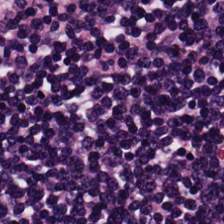Stain: H&E stain.
Classification: lymphocytes.
